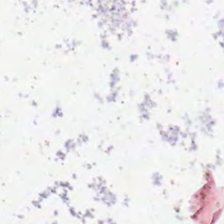Histology → background (no tissue).
